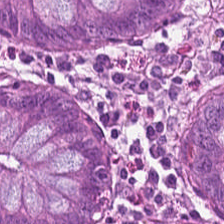The tissue type is non-neoplastic colon mucosa.
